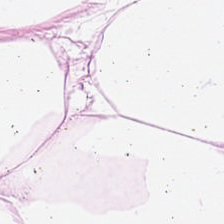Hematoxylin-and-eosin stained section.
This field is adipose tissue.
